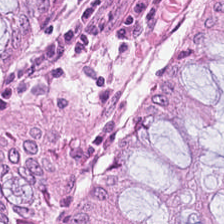Predominant tissue: non-neoplastic colon mucosa.
